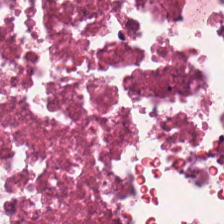224×224 px patch · hematoxylin-and-eosin stained section.
Tissue = necrotic debris.
